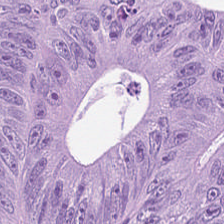H&E.
Showing colorectal adenocarcinoma.
